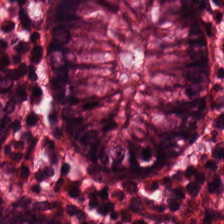Normal colonic mucosa.
